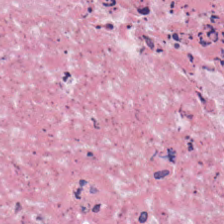Stain: hematoxylin-and-eosin stained section.
Classification: necrotic debris.
